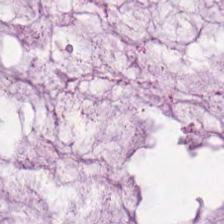Hematoxylin and eosin — This field is mucus.
